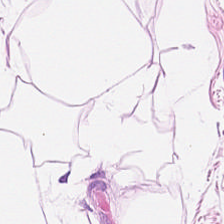Showing adipose.
